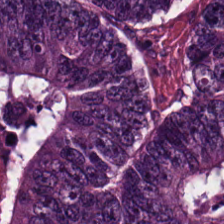H&E-stained tissue section. Whole-slide-image patch.
Classification = tumor epithelium.
